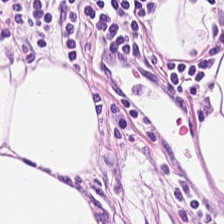H&E stain — Predominantly fat tissue.
